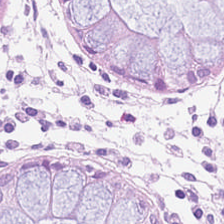Predominant tissue — non-neoplastic colon mucosa.
